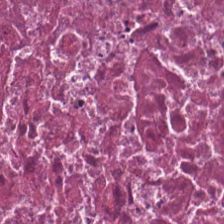Hematoxylin and eosin — Necrotic debris.
